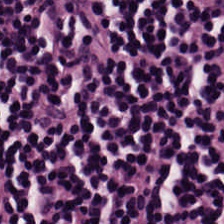Hematoxylin and eosin. 0.5 µm per pixel.
Tissue class: lymphoid infiltrate.
